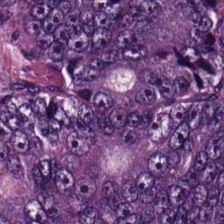Classification — colorectal adenocarcinoma epithelium.
